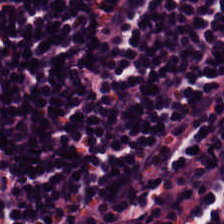0.5 µm/px. H&E-stained tissue section — Predominantly lymphocytes.
